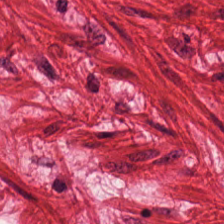Tissue class: smooth muscle.
